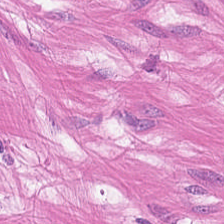Histology → smooth muscle.
